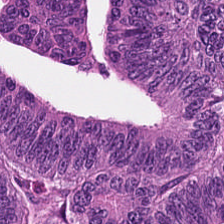Q: What tissue is shown?
A: Colorectal adenocarcinoma epithelium.
